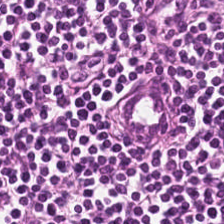H&E stain. Lymphoid infiltrate.
